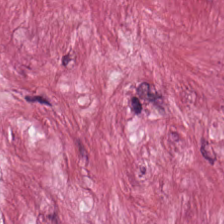Hematoxylin-and-eosin section: desmoplastic stroma.
